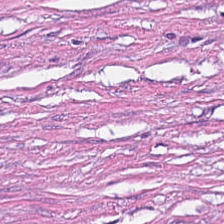Formalin-fixed paraffin-embedded section · hematoxylin-and-eosin stained section — The classification is cancer-associated stroma.
